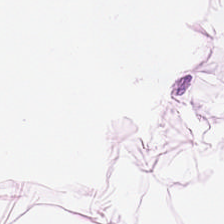Hematoxylin and eosin. Showing adipose.
